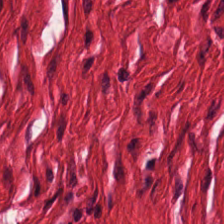H&E stain. Impression — smooth muscle.
